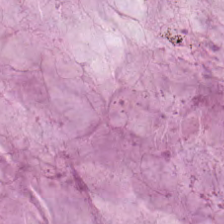{"tissue_type": "extracellular mucin"}
